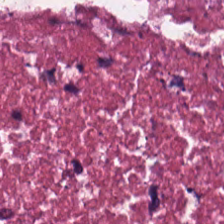Showing cellular debris.
